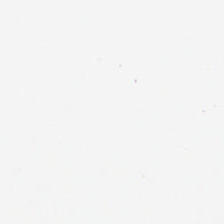Classification — empty background.
